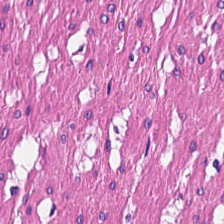Hematoxylin and eosin. Tissue — smooth muscle.
